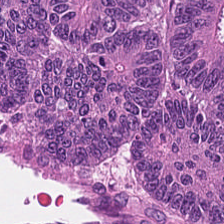H&E · 20× equivalent magnification.
{"tissue_type": "colorectal adenocarcinoma"}
